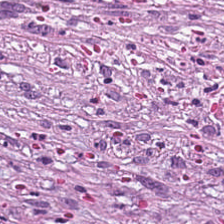Finding → desmoplastic stroma.
